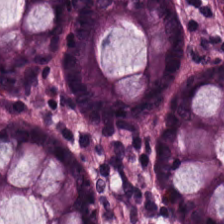H&E stain.
Q: Identify the tissue.
A: Non-neoplastic colon mucosa.
